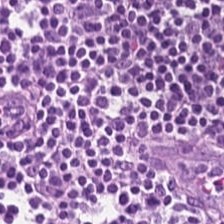20× equivalent magnification; 224×224 px patch; H&E-stained tissue section. The classification is lymphocyte aggregate.
